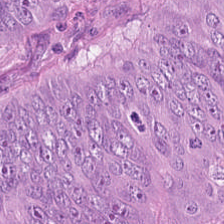Tissue — colorectal adenocarcinoma epithelium.
